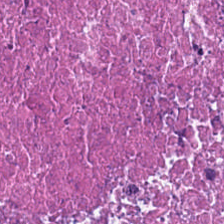Stain: hematoxylin-and-eosin stained section.
Tissue type: cellular debris.
